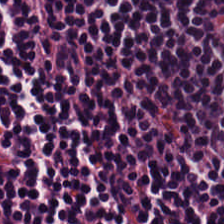224×224 px tile · hematoxylin and eosin — Impression — lymphocytes.
